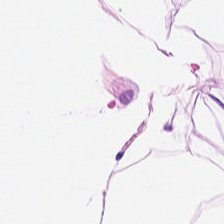Stain: H&E.
Predominant tissue: adipose.
